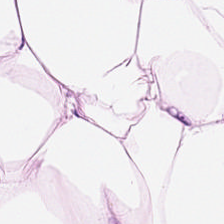Hematoxylin and eosin — This field is fat tissue.
